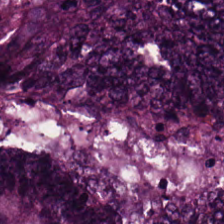Showing adenocarcinoma.
